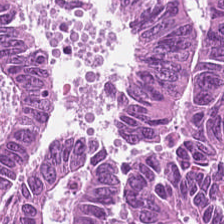H&E. This patch shows colorectal adenocarcinoma.
